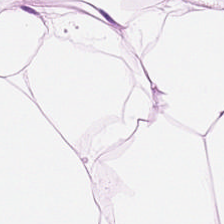H&E-stained tissue section.
Finding — adipose tissue.
